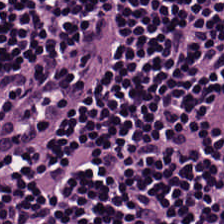0.5 µm/px. Hematoxylin and eosin.
Q: What is the predominant tissue type?
A: Lymphocytes.
